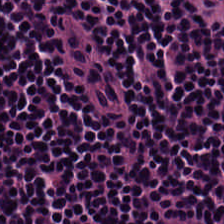Stain: hematoxylin and eosin.
Resolution: 0.5 µm per pixel.
Classification: lymphoid infiltrate.
